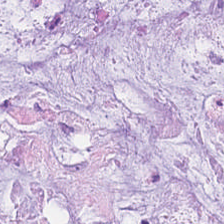Hematoxylin-and-eosin stained section — This field is mucus.
